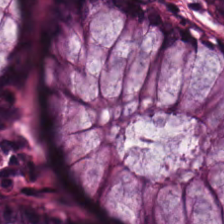H&E. 0.5 µm per pixel. This patch shows normal colonic mucosa.
